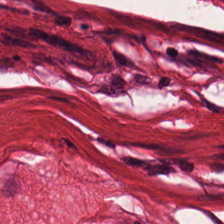Hematoxylin-and-eosin section: smooth muscle.
